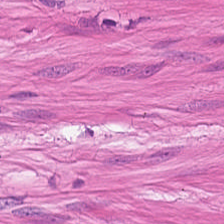Stain: H&E stain.
Tile size: 224×224 px patch.
Tissue: smooth muscle.
